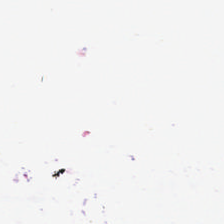H&E. Content — empty background.
